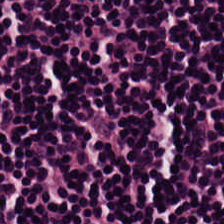0.5 microns per pixel; H&E. The tissue here is lymphocyte aggregate.
